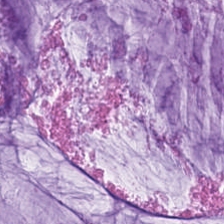Stain: H&E-stained tissue section.
Classification: mucus.
